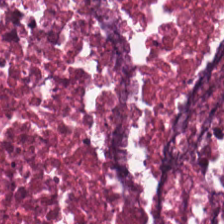Q: What type of tissue is this?
A: This is necrotic debris.
